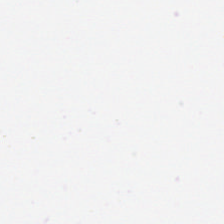No tissue present; background only.
